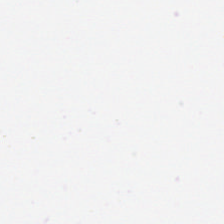No tissue present; background only.
